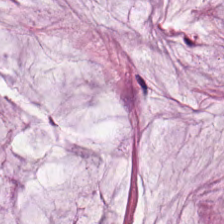FFPE tissue section · hematoxylin and eosin. This field is mucus.
